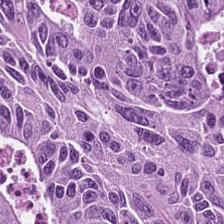Hematoxylin-and-eosin stained section. The predominant tissue is tumor epithelium.
